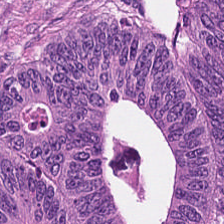H&E-stained tissue section. Histology → malignant epithelium.
